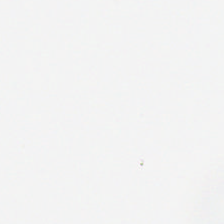Formalin-fixed paraffin-embedded section; H&E-stained tissue section. Q: What is shown in this field?
A: It is background.
